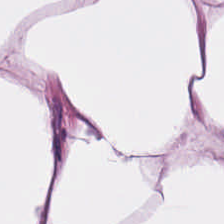Showing adipose tissue.
